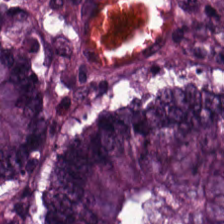H&E-stained tissue section; whole-slide-image patch; 224×224 px tile.
The predominant tissue is adenocarcinoma.
